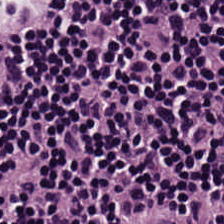Hematoxylin-and-eosin stained section. 224×224 pixel tile. Finding — lymphocytic infiltrate.
